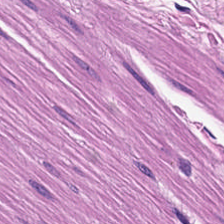H&E — The predominant tissue is muscularis.
